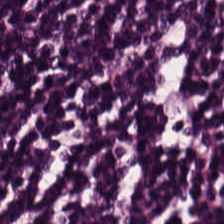Q: What tissue is shown?
A: The field shows lymphocytes.
